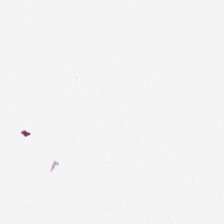Hematoxylin-and-eosin stained section.
Histology — empty background.
